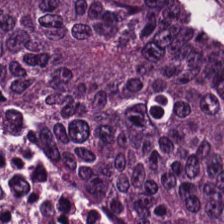H&E — colorectal adenocarcinoma.
